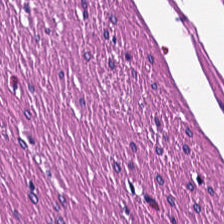Hematoxylin-and-eosin stained section.
Tissue — smooth muscle.
